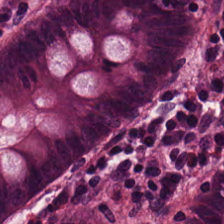H&E stain.
Predominant tissue — non-neoplastic colon mucosa.
